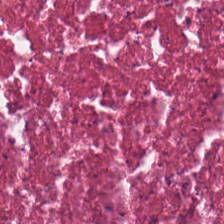Formalin-fixed paraffin-embedded section. H&E-stained tissue section. 0.5 µm/px — The predominant tissue is debris.
